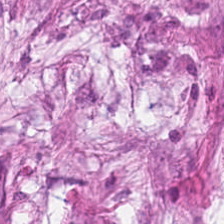Hematoxylin and eosin. WSI patch — Tumor stroma.
